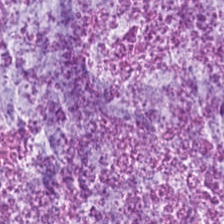Predominantly mucus.
